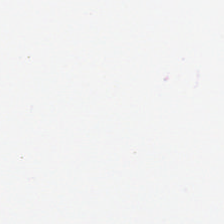Hematoxylin-and-eosin stained section; brightfield microscopy.
Impression — no tissue.
